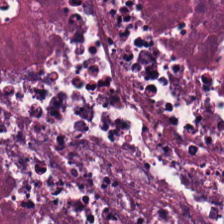0.5 µm/px. H&E stain. Finding — cellular debris.
